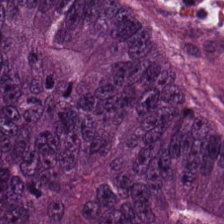H&E stain — {"tissue_type": "malignant epithelium"}
